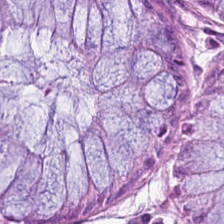Showing normal colonic mucosa.
